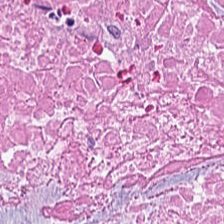Whole-slide-image patch. H&E-stained tissue section. 0.5 µm/px.
Finding → cellular debris.
